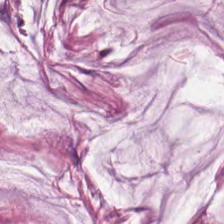H&E stain · FFPE — Q: Classify this patch.
A: This is extracellular mucin.
